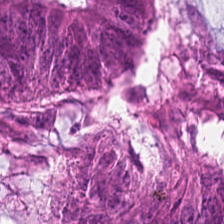H&E stain — Tissue class = colorectal adenocarcinoma.
